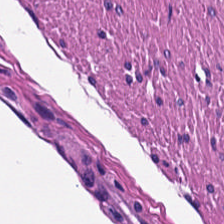The predominant tissue is muscularis.
